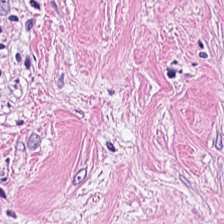224×224 px tile; H&E-stained tissue section — Tissue — tumor stroma.
